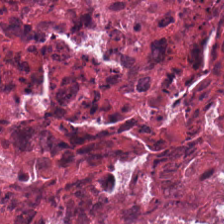224×224 px patch; H&E.
Classification: cellular debris.
